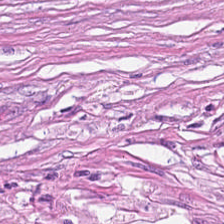0.5 µm/px; hematoxylin and eosin.
The classification is tumor-associated stroma.
